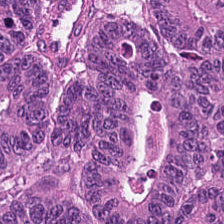Hematoxylin-and-eosin stained section — Tumor epithelium.
